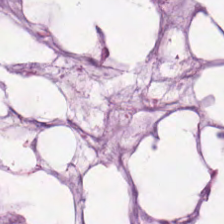H&E — mucin.
